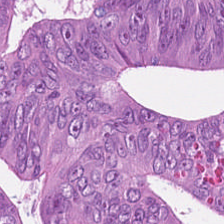Stain: hematoxylin-and-eosin stained section.
Tissue: adenocarcinoma.
